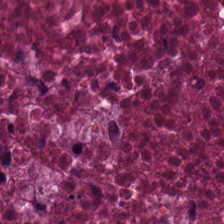Stain: hematoxylin-and-eosin stained section.
Tissue: debris.
